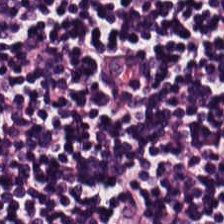Whole-slide-image patch. H&E — Tissue: lymphocyte aggregate.
